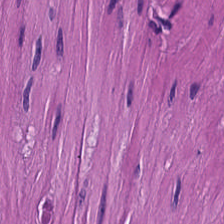H&E.
The tissue here is smooth muscle.
